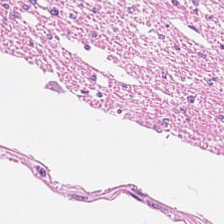H&E stain · 0.5 µm per pixel. Tissue: smooth-muscle tissue.
